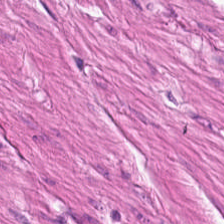Hematoxylin-and-eosin stained section — The predominant tissue is muscularis.
